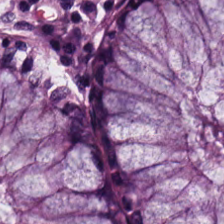Hematoxylin-and-eosin stained section · 0.5 µm per pixel.
The tissue here is benign colonic mucosa.
